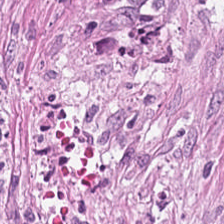H&E stain.
Finding → tumor-associated stroma.
